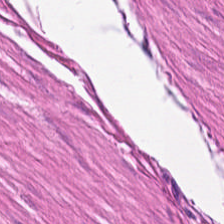Tissue class: smooth-muscle tissue.
